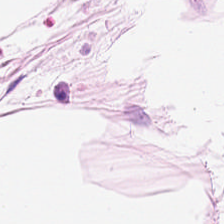Hematoxylin and eosin.
Predominant tissue: adipocytes.
